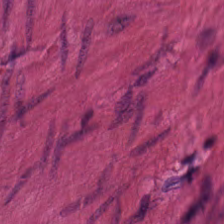Hematoxylin and eosin. Formalin-fixed paraffin-embedded section — Histology → smooth muscle.
